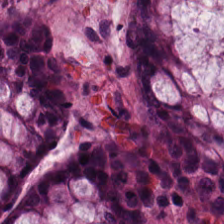FFPE tissue section; whole-slide-image patch; H&E stain — The classification is normal colon mucosa.
